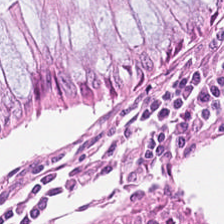0.5 µm per pixel; hematoxylin-and-eosin stained section — The tissue class is normal colon mucosa.
